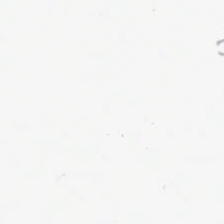Classification = background (no tissue).
